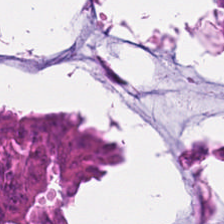224×224 pixel tile. Hematoxylin and eosin. Brightfield — Q: What tissue type is shown here?
A: This is colorectal adenocarcinoma.
